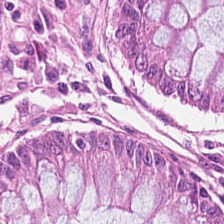Hematoxylin and eosin · formalin-fixed paraffin-embedded section.
Q: What type of tissue is this?
A: It is normal colonic mucosa.
